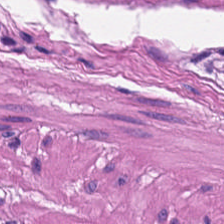H&E — Predominant tissue = smooth muscle.
